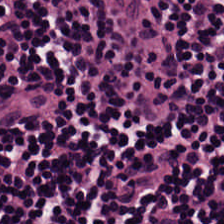WSI patch · hematoxylin and eosin. Q: Identify the tissue.
A: This is lymphocytes.
